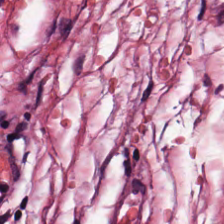Q: What is shown here?
A: It is cancer-associated stroma.
